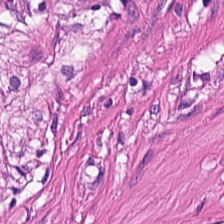Stain: H&E stain.
Resolution: 0.5 µm per pixel.
Predominant tissue: muscularis.
